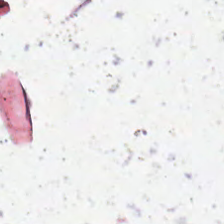224×224 pixel tile · hematoxylin and eosin. Field content — no tissue.
